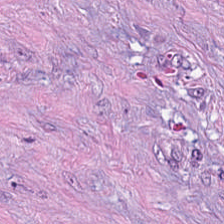Formalin-fixed paraffin-embedded section. 224×224 px tile. Hematoxylin-and-eosin stained section.
The tissue here is tumor stroma.
